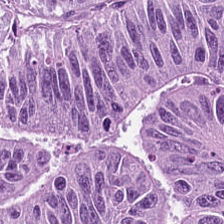H&E; 224×224 px tile.
{"tissue_type": "malignant epithelium"}
